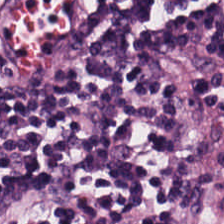Hematoxylin and eosin. WSI patch.
The tissue here is lymphocytes.
